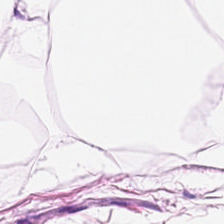Hematoxylin-and-eosin stained section.
Q: Classify this patch.
A: This is adipose tissue.
